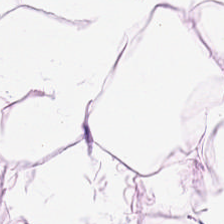Hematoxylin and eosin; 224×224 px tile. The tissue is adipose.
